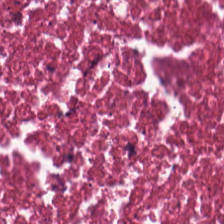Stain: H&E.
Tissue type: necrotic debris.
